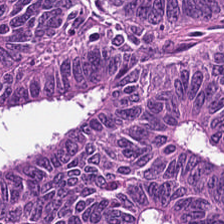0.5 µm/px · formalin-fixed paraffin-embedded section · H&E stain.
Predominant tissue: tumor epithelium.
